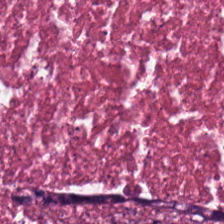Tissue type = necrotic debris.
